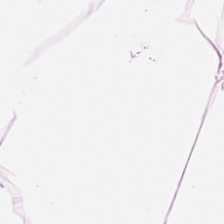Stain: H&E stain.
Classification: adipose.
